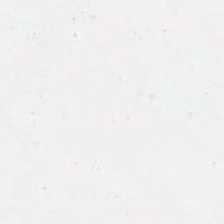Hematoxylin and eosin.
This patch shows background (no tissue).
